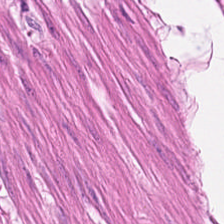H&E. 224×224 px patch. 0.5 microns per pixel. Q: Identify the tissue.
A: It is muscularis.
